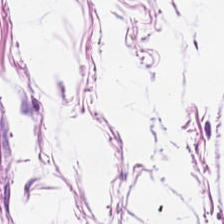Stain: hematoxylin-and-eosin stained section.
Tissue: adipocytes.
